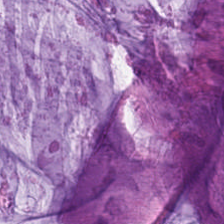FFPE tissue section; H&E-stained tissue section; 0.5 µm/px — The tissue here is mucin.
